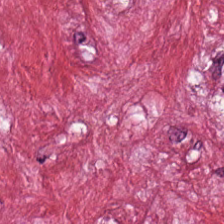Stain: hematoxylin-and-eosin stained section.
Classification: cancer-associated stroma.
